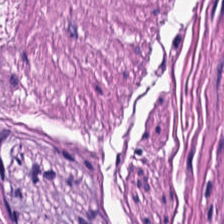Hematoxylin and eosin — Classification = smooth-muscle tissue.
